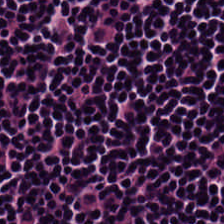Brightfield microscopy. Hematoxylin and eosin. FFPE. Q: What is shown in this field?
A: It is lymphocytes.
